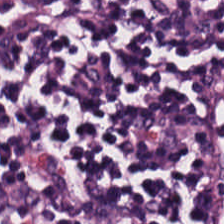H&E-stained tissue section — Finding → lymphocyte aggregate.
